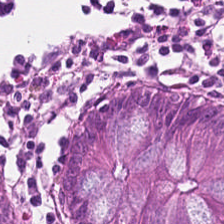Whole-slide-image patch · hematoxylin-and-eosin stained section · 224×224 px patch — Tissue type: normal colonic mucosa.
